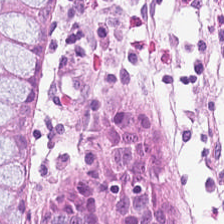Brightfield microscopy · hematoxylin-and-eosin stained section. Tissue class: normal colonic mucosa.
